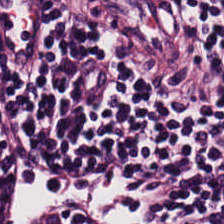H&E stain — Classification — lymphocyte aggregate.
